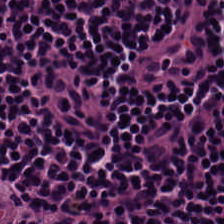Showing lymphocytes.
